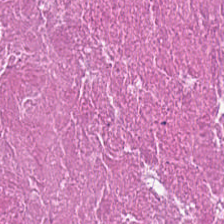{"tissue_type": "necrotic debris"}
